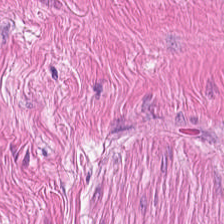Hematoxylin and eosin. This field is muscularis.
